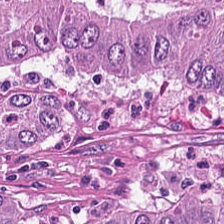H&E-stained tissue section.
Classification — tumor epithelium.
